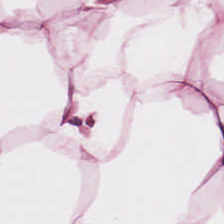Stain: hematoxylin and eosin.
Tissue: adipose tissue.
